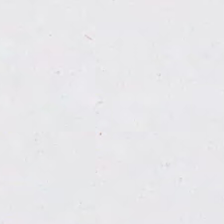Stain: hematoxylin-and-eosin stained section.
Content: background.
